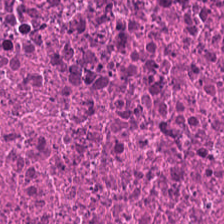Hematoxylin-and-eosin stained section.
{"tissue_type": "debris"}
